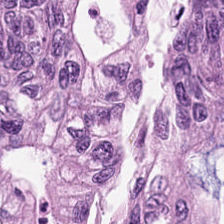FFPE · H&E stain · 20× equivalent magnification. Showing adenocarcinoma.
